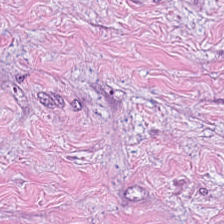Hematoxylin and eosin — Histology — desmoplastic stroma.
